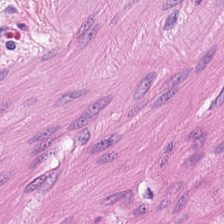Hematoxylin and eosin; 0.5 microns per pixel. The predominant tissue is muscularis.
